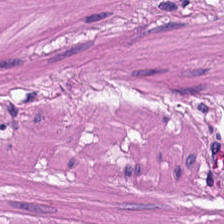Hematoxylin and eosin — The predominant tissue is muscularis.
